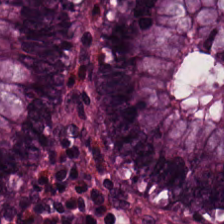Stain: hematoxylin and eosin.
Tissue class: normal colon mucosa.
